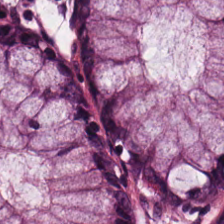Q: What is shown here?
A: Normal colon mucosa.
